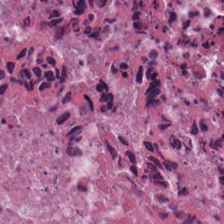Hematoxylin-and-eosin section: necrotic debris.
